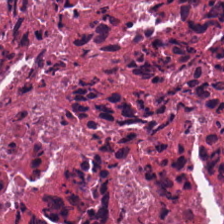Stain: H&E.
Tissue class: necrotic debris.
